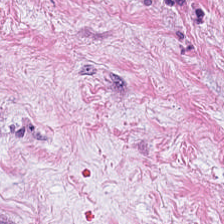Tissue = desmoplastic stroma.
